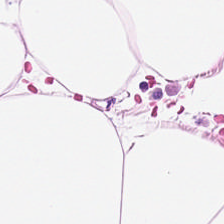H&E stain. WSI patch. Fat tissue.
